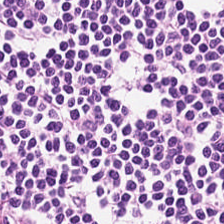0.5 µm per pixel. Whole-slide-image patch. H&E stain.
Histology — lymphocyte aggregate.
